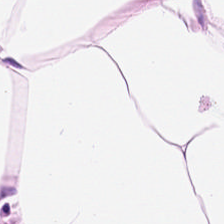H&E-stained tissue section. Predominant tissue: fat tissue.
